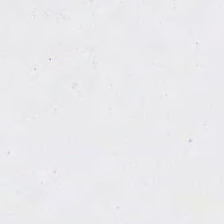H&E-stained tissue section. No tissue present; background only.
